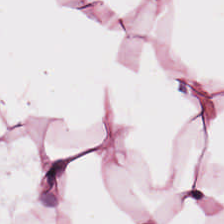H&E stain.
Predominantly adipose.
